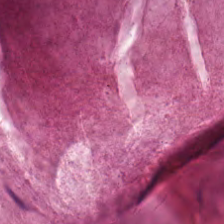Hematoxylin-and-eosin section: mucin.
